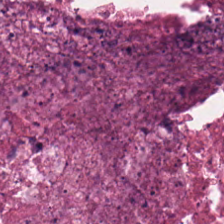Impression — necrotic debris.
